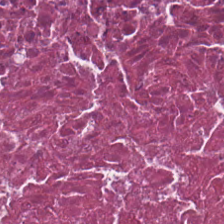Cellular debris.
